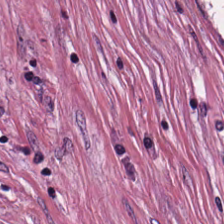Hematoxylin and eosin; whole-slide-image patch. This patch shows desmoplastic stroma.
